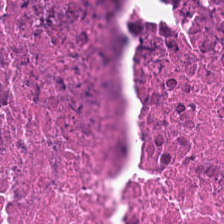H&E; FFPE tissue section. The tissue type is necrotic debris.
